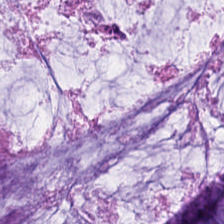H&E — Q: What tissue is shown?
A: The field shows mucus.
